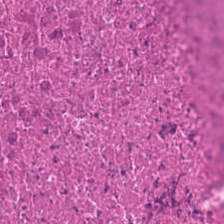Stain: H&E stain.
Tissue type: necrotic debris.
